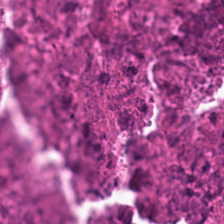This patch shows debris.
